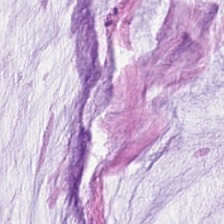H&E.
The tissue type is extracellular mucin.
